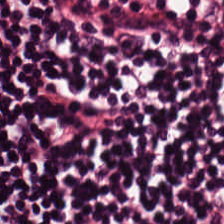Stain: H&E-stained tissue section.
Resolution: 0.5 µm per pixel.
Tissue: lymphocytic infiltrate.
